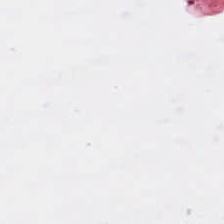224×224 px patch. H&E. Whole-slide-image patch.
Field content = background.
